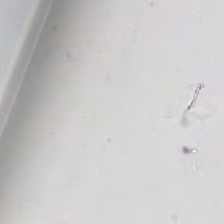Stain: hematoxylin and eosin.
Classification: empty background.
